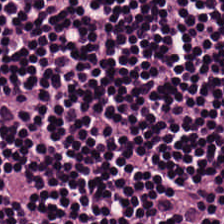Tissue type = lymphocyte aggregate.
